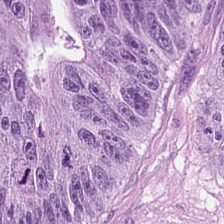Hematoxylin-and-eosin stained section; FFPE tissue section — The predominant tissue is tumor epithelium.
